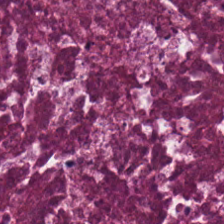Stain: hematoxylin and eosin.
Tissue: debris.
